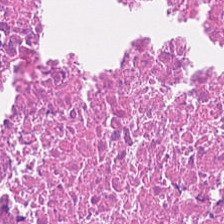Predominant tissue: cellular debris.
